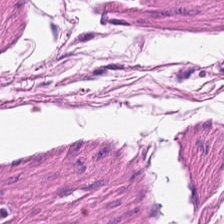Predominant tissue — smooth-muscle tissue.
